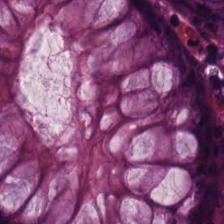Predominant tissue = benign colonic mucosa.
